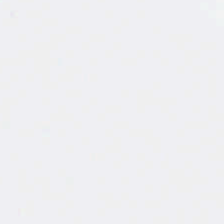H&E stain — Background — no tissue in this field.
